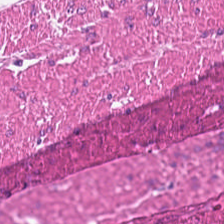This patch shows muscularis.
